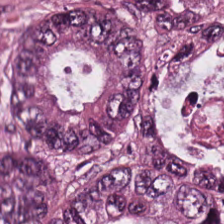H&E stain. WSI patch. Predominant tissue — colorectal adenocarcinoma epithelium.
